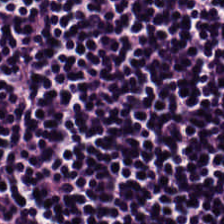H&E stain; 224×224 px tile; 0.5 microns per pixel — Impression — lymphocyte aggregate.
